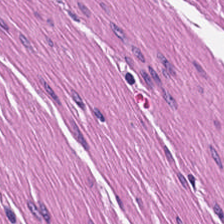Q: What is shown in this field?
A: This is smooth-muscle tissue.
